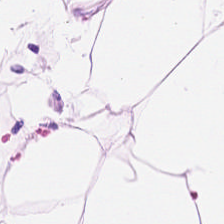H&E — Q: What is shown here?
A: This is fat tissue.
